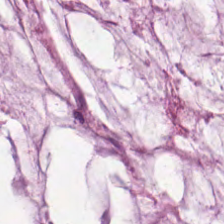20× equivalent magnification · formalin-fixed paraffin-embedded section · hematoxylin and eosin — Q: What is shown here?
A: This is extracellular mucin.
